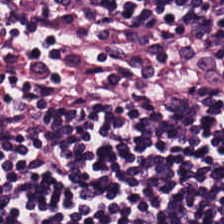Hematoxylin and eosin. Formalin-fixed paraffin-embedded section — Predominant tissue = lymphocytes.
